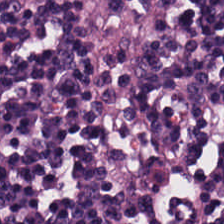0.5 µm/px · H&E stain.
Q: What is shown here?
A: This is lymphocytic infiltrate.
